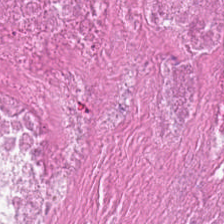Impression — debris.
